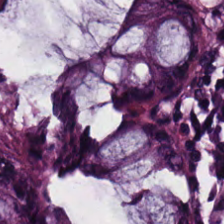H&E.
This patch shows non-neoplastic colon mucosa.
